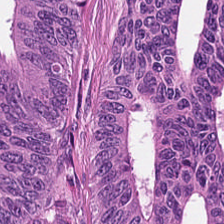H&E-stained tissue section — This patch shows malignant epithelium.
